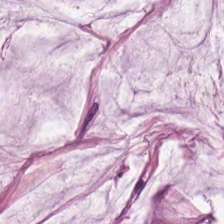224×224 px tile; H&E.
The tissue here is extracellular mucin.
